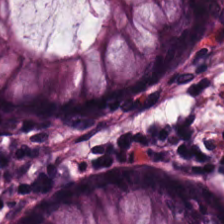Q: What is shown here?
A: This is normal colon mucosa.
